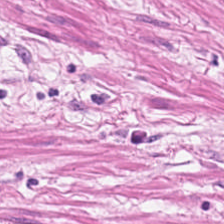H&E stain.
Smooth-muscle tissue.
